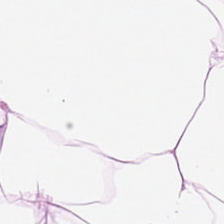Fat tissue.
